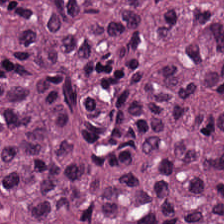H&E stain. Q: What tissue type is shown here?
A: It is malignant epithelium.
